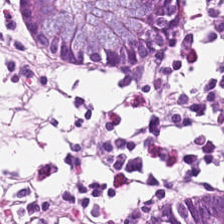Stain: H&E stain.
Resolution: 20× equivalent magnification.
Tissue: normal colonic mucosa.
